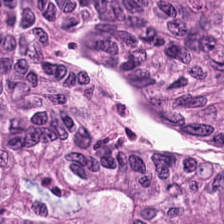H&E-stained tissue section · brightfield · 20× equivalent magnification. The predominant tissue is tumor epithelium.
